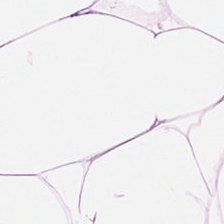H&E-stained tissue section. Tissue — adipose tissue.
